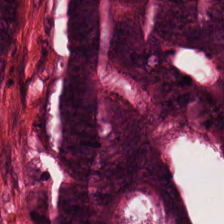Hematoxylin and eosin — Classification — malignant epithelium.
